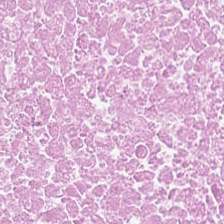Brightfield microscopy · 224×224 px tile · hematoxylin and eosin — Tissue type: cellular debris.
